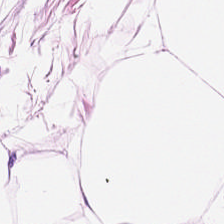{"tissue_type": "fat tissue"}
